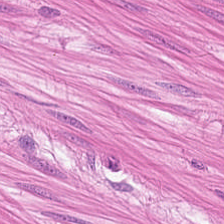Impression — muscularis.
